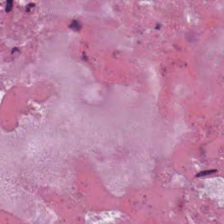H&E stain; formalin-fixed paraffin-embedded section — {"tissue_type": "necrotic debris"}
